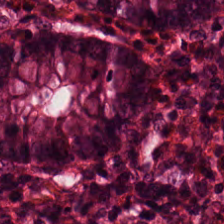Hematoxylin and eosin — Predominantly normal colon mucosa.
